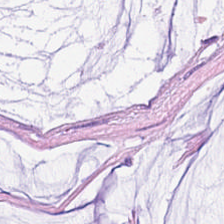Q: What tissue is shown?
A: It is mucus.
